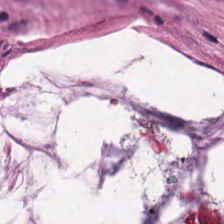H&E. Classification: extracellular mucin.
